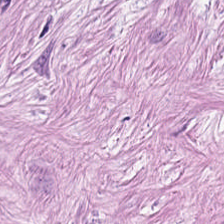Hematoxylin and eosin — The tissue is tumor stroma.
